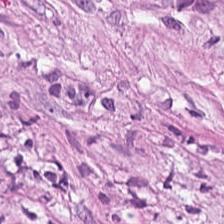H&E stain — Classification = cancer-associated stroma.
